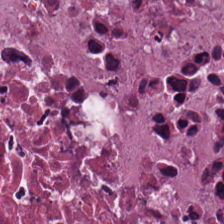The tissue here is cellular debris.
